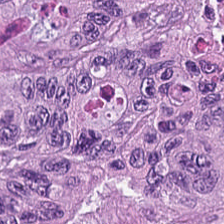WSI patch. H&E stain.
Histology → colorectal adenocarcinoma epithelium.
